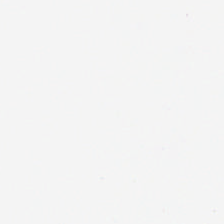The classification is background (no tissue).
